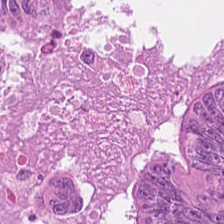H&E — Q: What does this patch show?
A: This is malignant epithelium.
